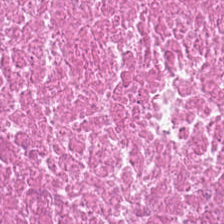224×224 pixel tile · hematoxylin and eosin — The tissue type is debris.
